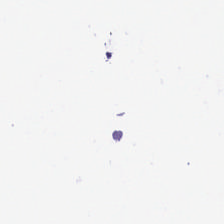H&E stain — No tissue present; background only.
